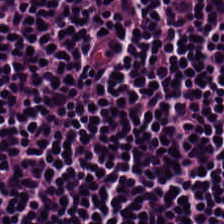Hematoxylin and eosin — {"tissue_type": "lymphoid infiltrate"}
